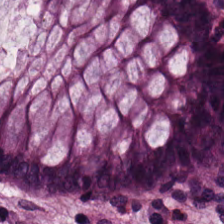Brightfield microscopy; FFPE tissue section; H&E. The predominant tissue is benign colonic mucosa.
